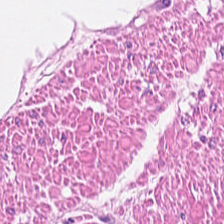Hematoxylin and eosin. Whole-slide-image patch. Showing muscularis.
